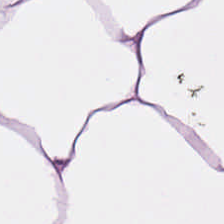H&E-stained tissue section. Histology → adipocytes.
